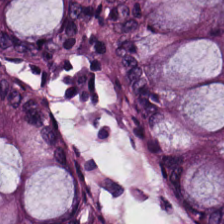H&E. This patch shows normal colonic mucosa.
